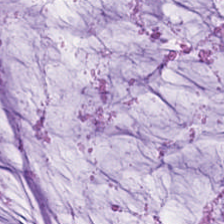Hematoxylin-and-eosin stained section.
Tissue type: mucus.
